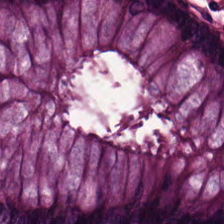Whole-slide-image patch · 0.5 microns per pixel · H&E-stained tissue section. Predominantly normal colon mucosa.
